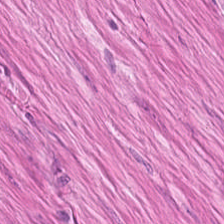Q: What is shown here?
A: The field shows smooth-muscle tissue.
